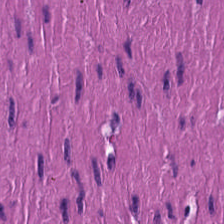H&E-stained tissue section. 224×224 pixel tile — Q: What is shown in this field?
A: This is muscularis.
